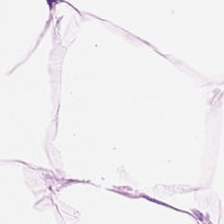Hematoxylin-and-eosin stained section. {"tissue_type": "adipose"}
